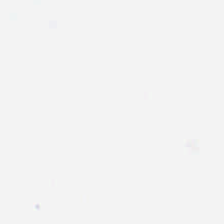Stain: H&E-stained tissue section.
Resolution: 0.5 µm per pixel.
Field content: no tissue.
